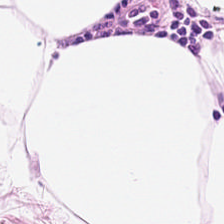WSI patch. Hematoxylin and eosin.
This patch shows fat tissue.
